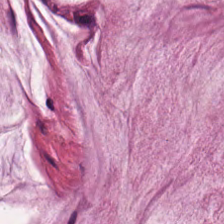H&E. The tissue here is extracellular mucin.
